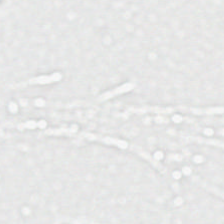H&E-stained tissue section — Background (no tissue).
